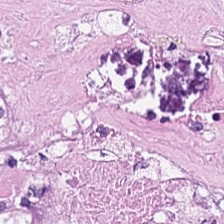Classification = debris.
